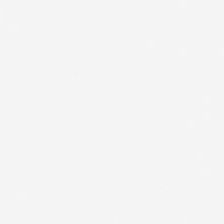Stain: hematoxylin-and-eosin stained section.
Resolution: 0.5 µm per pixel.
Acquisition: whole-slide-image patch.
Content: background.
